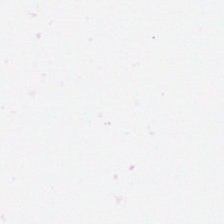Impression → no tissue.
